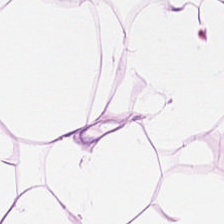H&E stain — Adipose tissue.
